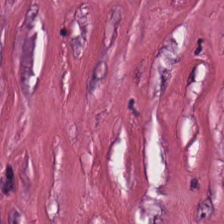H&E. The predominant tissue is tumor-associated stroma.
